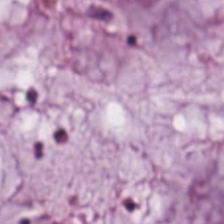Stain: H&E.
Tissue: mucus.
